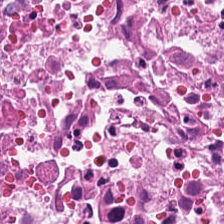H&E-stained tissue section. FFPE tissue section. {"tissue_type": "necrotic debris"}
